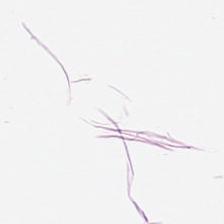Hematoxylin-and-eosin stained section · FFPE · whole-slide-image patch — The tissue is fat tissue.
